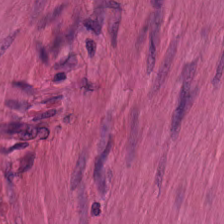Hematoxylin-and-eosin stained section. Tissue class — smooth muscle.
